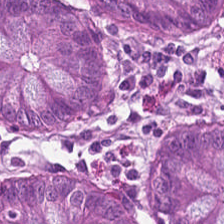Stain: hematoxylin-and-eosin stained section.
Tissue: non-neoplastic colon mucosa.
